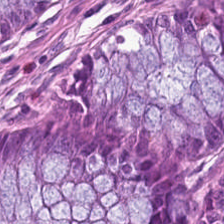The predominant tissue is normal colonic mucosa.
